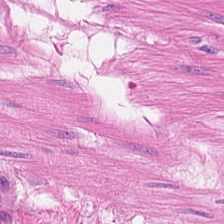0.5 µm/px; H&E-stained tissue section; 224×224 px patch — Showing smooth-muscle tissue.
